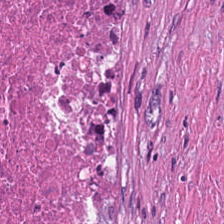Classification — necrotic debris.
